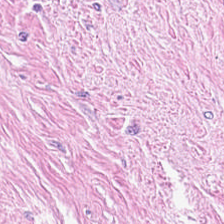The tissue class is tumor stroma.
